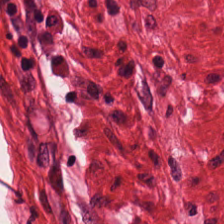H&E-stained tissue section. Muscularis.
